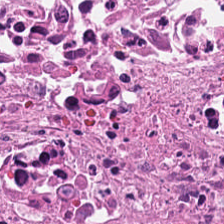Q: Identify the tissue.
A: It is cellular debris.
